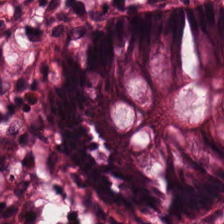H&E-stained tissue section showing non-neoplastic colon mucosa.
